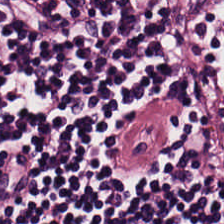Stain: H&E stain.
Predominant tissue: lymphoid infiltrate.
